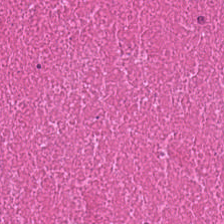Q: Identify the tissue.
A: Necrotic debris.
